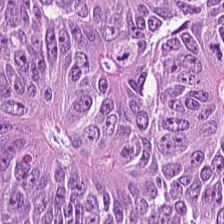Hematoxylin-and-eosin stained section.
The tissue here is colorectal adenocarcinoma.
